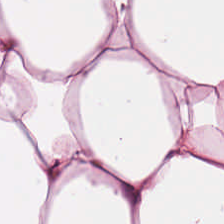H&E stain. Classification — adipose.
